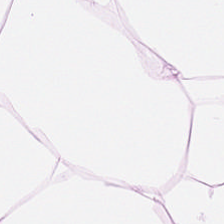Stain: hematoxylin-and-eosin stained section.
Resolution: 0.5 µm/px.
Predominant tissue: adipocytes.
